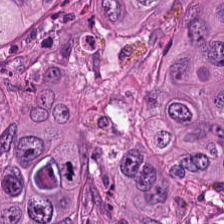H&E · 0.5 µm per pixel.
This field is colorectal adenocarcinoma epithelium.
